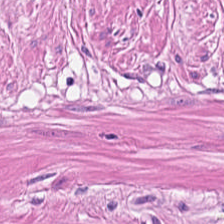Stain: H&E.
Resolution: 0.5 microns per pixel.
Tissue type: smooth muscle.
